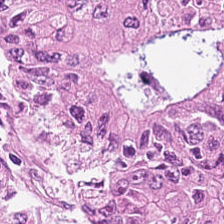Formalin-fixed paraffin-embedded section. Hematoxylin-and-eosin stained section — Impression — malignant epithelium.
